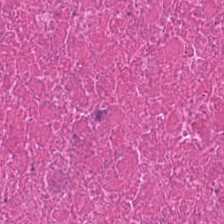The predominant tissue is necrotic debris.
